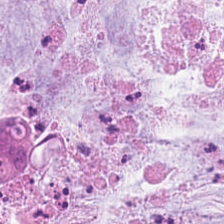H&E-stained tissue section — This field is mucin.
